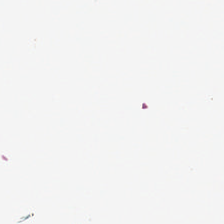H&E — Classification = background (no tissue).
